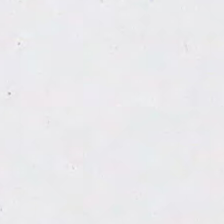Finding → background (no tissue).
